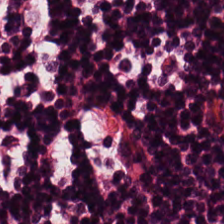FFPE tissue section · brightfield · H&E stain. Impression → lymphocytic infiltrate.
